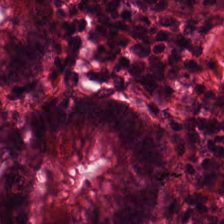H&E — Showing benign colonic mucosa.
